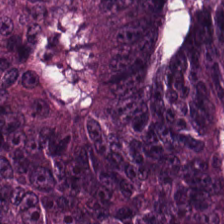Q: Classify this patch.
A: It is colorectal adenocarcinoma.
